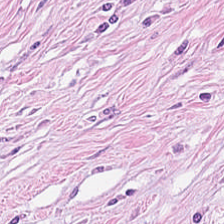224×224 px tile. H&E stain. 0.5 µm/px — Q: Classify this patch.
A: It is cancer-associated stroma.
